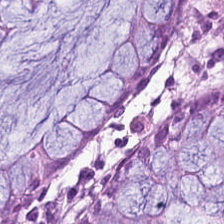The tissue here is normal colon mucosa.
